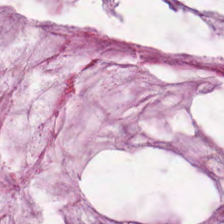Q: What tissue is shown?
A: Mucus.
